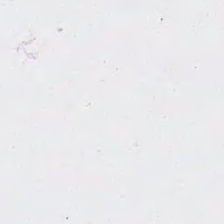224×224 px patch; H&E-stained tissue section — Q: Classify this patch.
A: Background (no tissue).
